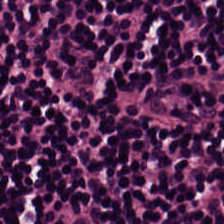H&E-stained tissue section — Q: What does this patch show?
A: The field shows lymphocytes.
